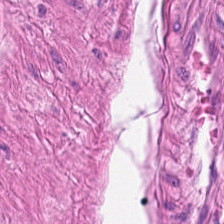Hematoxylin-and-eosin stained section — Q: What tissue is shown?
A: Muscularis.
